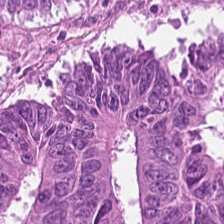H&E-stained tissue section.
Predominantly colorectal adenocarcinoma epithelium.
